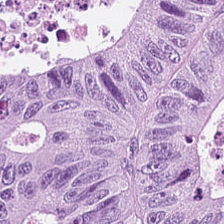Brightfield microscopy · H&E.
The tissue here is adenocarcinoma.
